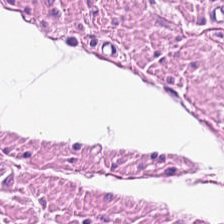Whole-slide-image patch · H&E. This patch shows smooth muscle.
